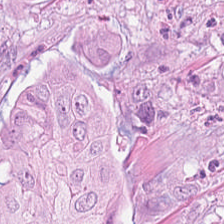Hematoxylin and eosin.
This field is colorectal adenocarcinoma epithelium.
